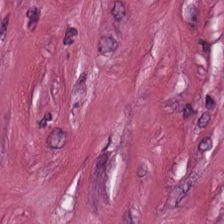H&E patch showing desmoplastic stroma.
